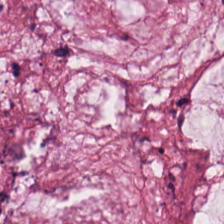Impression → mucus.
